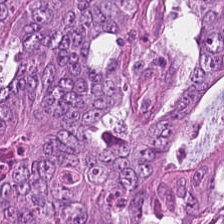Predominantly malignant epithelium.
